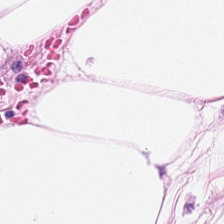Stain: hematoxylin-and-eosin stained section.
Predominant tissue: adipocytes.
